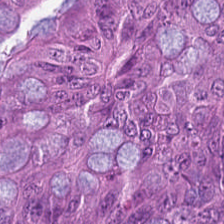Brightfield; H&E — Malignant epithelium.
